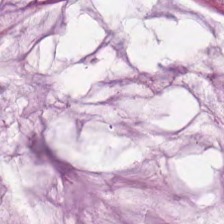Brightfield microscopy. H&E. Predominant tissue: mucin.
